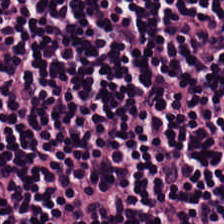Showing lymphocytes.
